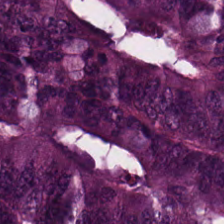Brightfield. 224×224 pixel tile. Hematoxylin and eosin. Tissue type — malignant epithelium.
